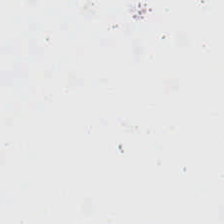This field is background (no tissue).
